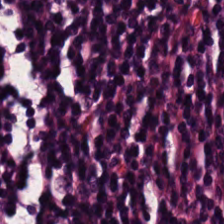224×224 px patch. Brightfield microscopy. Hematoxylin-and-eosin stained section — Tissue — lymphocytic infiltrate.
